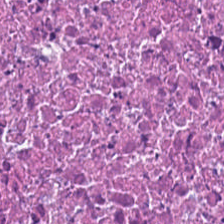Debris.
